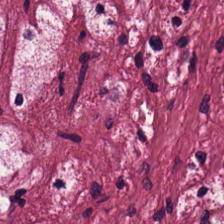H&E. Tissue: tumor-associated stroma.
